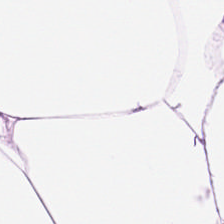FFPE tissue section. Hematoxylin and eosin.
Tissue = adipose tissue.
